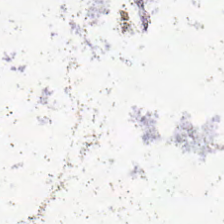Hematoxylin and eosin. FFPE tissue section — Empty field — no tissue.
